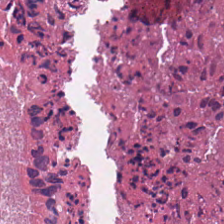Stain: H&E-stained tissue section.
Acquisition: WSI patch.
Tile size: 224×224 pixel tile.
Tissue: necrotic debris.
